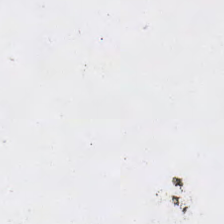H&E; 0.5 µm/px; formalin-fixed paraffin-embedded section.
Empty field — no tissue.
